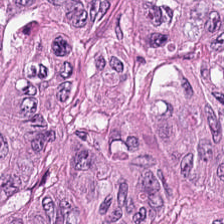0.5 microns per pixel; H&E-stained tissue section.
The tissue here is adenocarcinoma.
